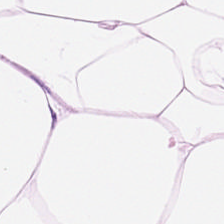H&E stain.
The classification is adipose tissue.
